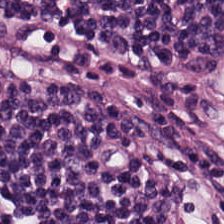Stain: hematoxylin and eosin.
Predominant tissue: lymphocytes.
